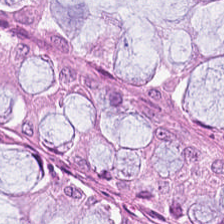Tissue type = benign colonic mucosa.
